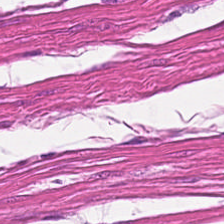Brightfield microscopy; H&E stain; 0.5 µm per pixel — Tissue class: smooth muscle.
